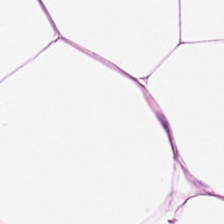Q: What is shown here?
A: Adipocytes.
